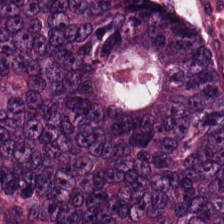H&E-stained tissue section · WSI patch. Impression → adenocarcinoma.
